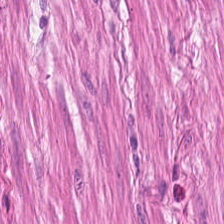H&E-stained tissue section · 20× equivalent magnification · FFPE. Impression — smooth muscle.
